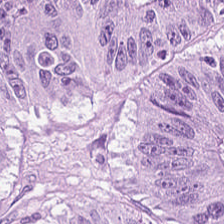Impression — tumor epithelium.
